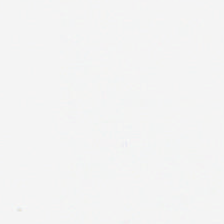H&E-stained tissue section. Brightfield. FFPE tissue section. Q: What is shown here?
A: This is background (no tissue).
